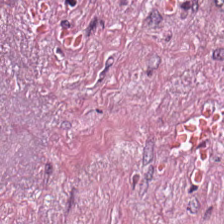H&E; FFPE; 0.5 microns per pixel. Tissue: cancer-associated stroma.
